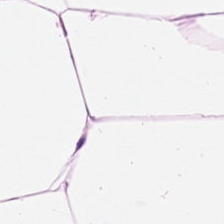Predominant tissue = fat tissue.
